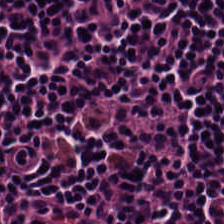H&E-stained tissue section. Predominantly lymphoid infiltrate.
